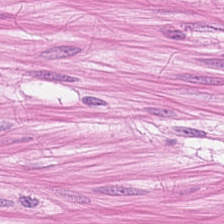Hematoxylin and eosin.
Tissue class: smooth-muscle tissue.
